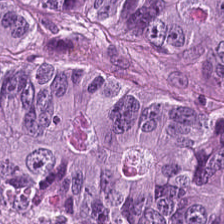Hematoxylin and eosin.
Predominant tissue = colorectal adenocarcinoma.
